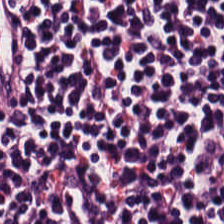H&E.
The classification is lymphoid infiltrate.
